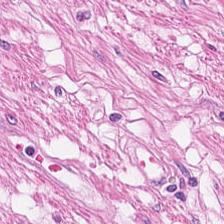Hematoxylin and eosin · 224×224 pixel tile. This patch shows smooth-muscle tissue.
